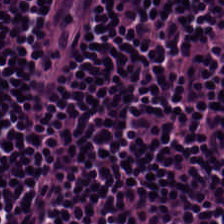Tissue = lymphocytes.
